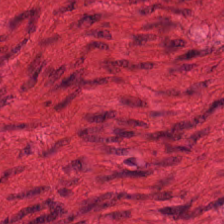Hematoxylin-and-eosin stained section. Smooth muscle.
